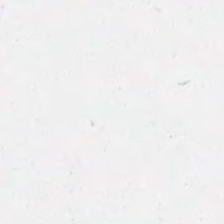Field content: no tissue.
